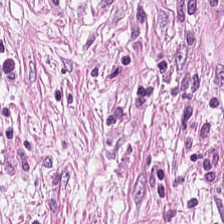Hematoxylin and eosin · 224×224 px tile. Showing cancer-associated stroma.
